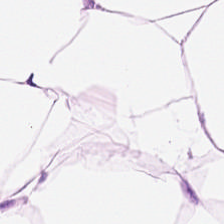H&E stain.
This field is adipocytes.
